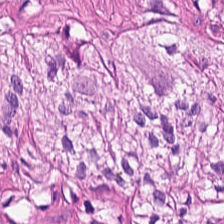224×224 px tile. H&E-stained tissue section — Smooth-muscle tissue.
